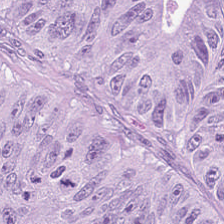H&E stain; brightfield microscopy.
Tissue type: colorectal adenocarcinoma epithelium.
